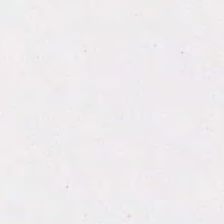Stain: hematoxylin-and-eosin stained section.
Classification: background (no tissue).
